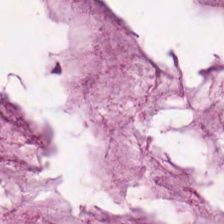Formalin-fixed paraffin-embedded section; hematoxylin and eosin.
Predominantly extracellular mucin.
